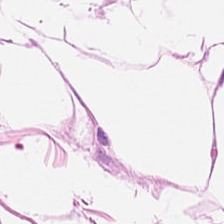The tissue here is adipose.
